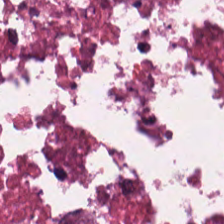FFPE tissue section; H&E-stained tissue section — The tissue class is cellular debris.
